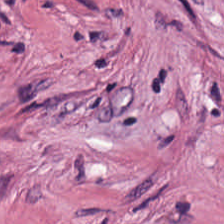H&E — Impression → tumor stroma.
